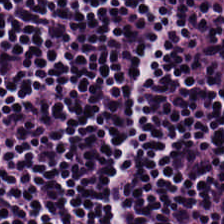0.5 µm/px · H&E-stained tissue section. Q: What is the predominant tissue type?
A: This is lymphocytic infiltrate.
